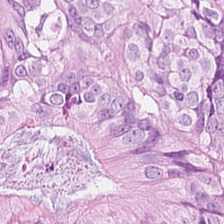Tissue — malignant epithelium.
